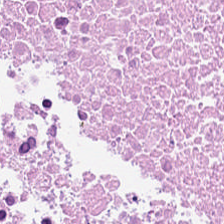H&E — cellular debris.
